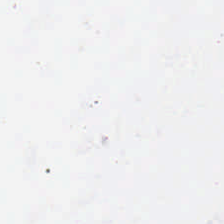Hematoxylin-and-eosin stained section. Classification = background (no tissue).
